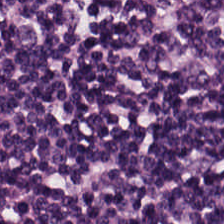Q: Classify this patch.
A: Lymphoid infiltrate.
